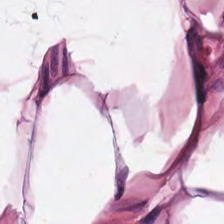Histology → adipose.
